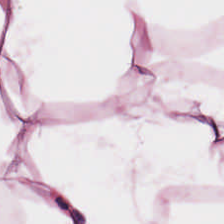WSI patch; H&E-stained tissue section — This field is adipose.
